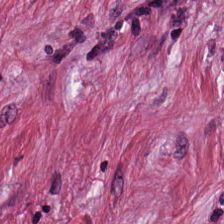224×224 px tile; hematoxylin-and-eosin stained section — The tissue here is tumor stroma.
